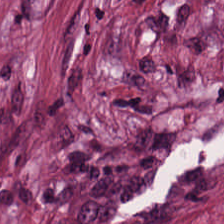H&E-stained tissue section.
The predominant tissue is tumor stroma.
